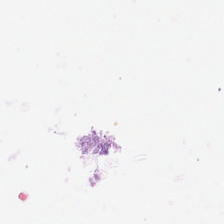Hematoxylin-and-eosin stained section · 0.5 µm per pixel — Empty background.
